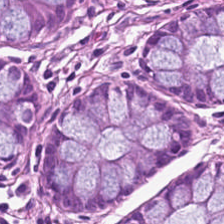Histology — non-neoplastic colon mucosa.
